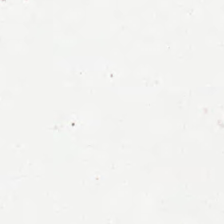Stain: hematoxylin-and-eosin stained section.
Resolution: 0.5 microns per pixel.
Content: no tissue.
